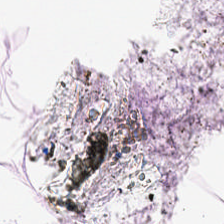H&E patch showing fat tissue.
